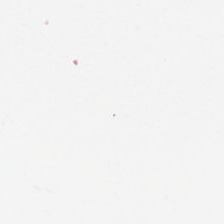Stain: H&E.
Field content: no tissue.
